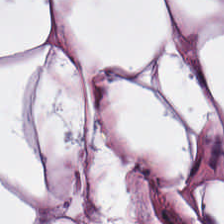0.5 microns per pixel. H&E-stained tissue section.
Finding — adipose.
